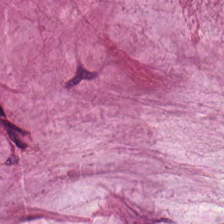Tissue class: mucin.
